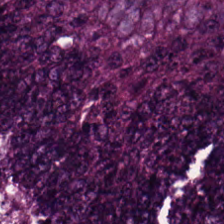H&E; 0.5 µm/px.
The tissue here is colorectal adenocarcinoma.
